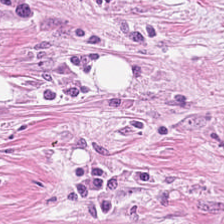0.5 microns per pixel; H&E-stained tissue section. Showing tumor stroma.
